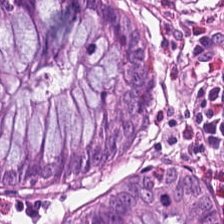Hematoxylin-and-eosin stained section — The tissue class is non-neoplastic colon mucosa.
